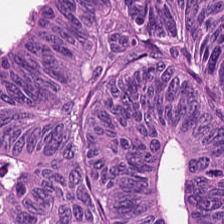H&E — Showing adenocarcinoma.
